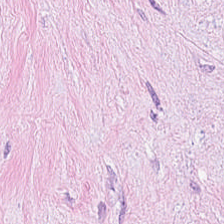Hematoxylin and eosin. This field is tumor stroma.
